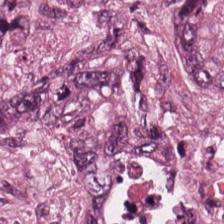H&E-stained tissue section.
This patch shows adenocarcinoma.
